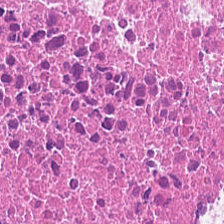Predominant tissue: cellular debris.
